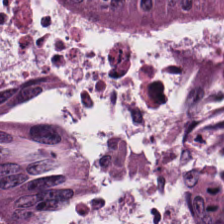Stain: hematoxylin-and-eosin stained section.
Tissue class: adenocarcinoma.
